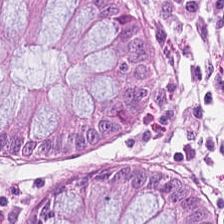Q: What does this patch show?
A: Normal colon mucosa.
